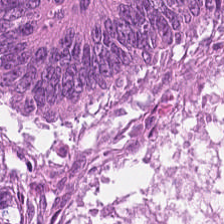Hematoxylin and eosin.
Q: What does this patch show?
A: This is colorectal adenocarcinoma epithelium.
